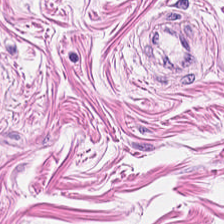Stain: H&E.
Tissue type: muscularis.
